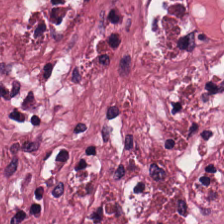Stain: hematoxylin and eosin.
Predominant tissue: desmoplastic stroma.
